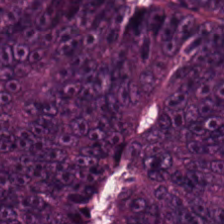Showing tumor epithelium.
